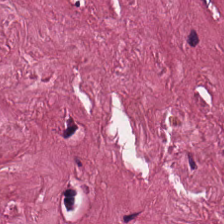Stain: H&E.
Classification: desmoplastic stroma.
